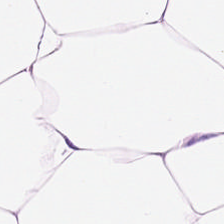Hematoxylin and eosin.
Predominant tissue = adipocytes.
